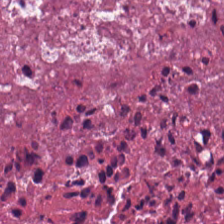Hematoxylin-and-eosin stained section.
Showing cellular debris.
